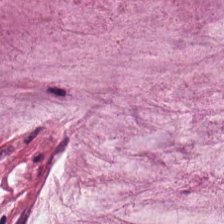Q: What is the predominant tissue type?
A: This is mucus.
